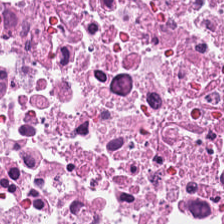Hematoxylin-and-eosin stained section; brightfield; 224×224 px tile.
The predominant tissue is necrotic debris.
